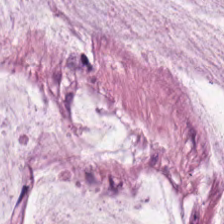H&E stain. Brightfield microscopy. 0.5 microns per pixel. {"tissue_type": "mucin"}
